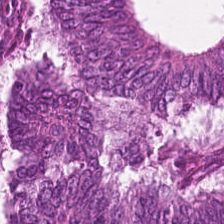Brightfield. 20× equivalent magnification. H&E.
The predominant tissue is colorectal adenocarcinoma.
